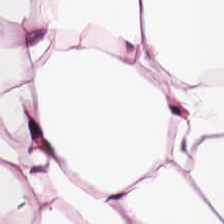H&E stain; WSI patch. The tissue type is adipose.
